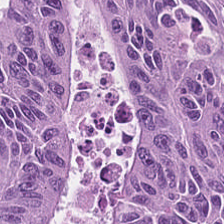H&E stain. This patch shows adenocarcinoma.
